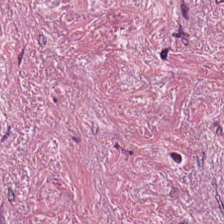H&E stain.
Classification: cancer-associated stroma.
